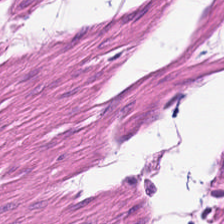H&E stain.
Q: Identify the tissue.
A: This is smooth muscle.
